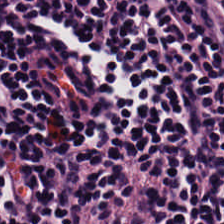H&E; 20× equivalent magnification; formalin-fixed paraffin-embedded section — Predominantly lymphocytic infiltrate.
